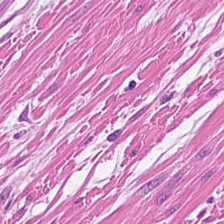H&E-stained tissue section · brightfield microscopy.
Q: What is the predominant tissue type?
A: This is muscularis.
